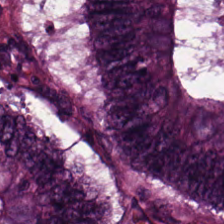H&E · 224×224 pixel tile. Q: Classify this patch.
A: It is colorectal adenocarcinoma.
